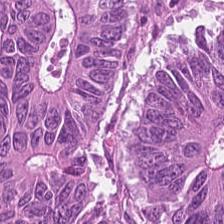Stain: H&E stain.
Classification: tumor epithelium.
